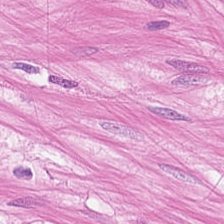H&E.
Q: What is the predominant tissue type?
A: It is smooth muscle.
